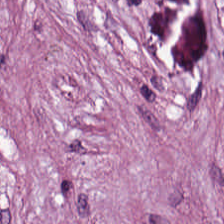Stain: hematoxylin-and-eosin stained section.
Tissue class: desmoplastic stroma.
